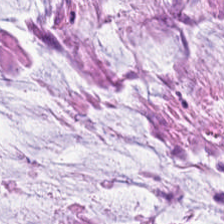Hematoxylin-and-eosin stained section.
The tissue here is mucus.
